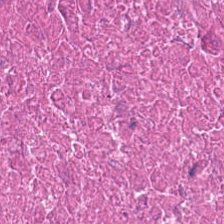224×224 px patch · hematoxylin and eosin · formalin-fixed paraffin-embedded section.
This field is cellular debris.
